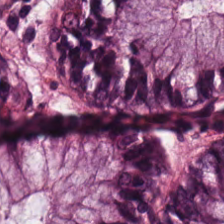224×224 px tile. H&E stain.
This patch shows normal colon mucosa.
